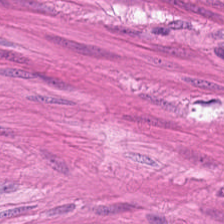Hematoxylin-and-eosin stained section.
Tissue = muscularis.
